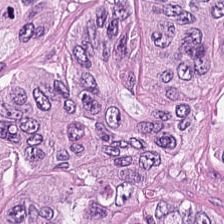Hematoxylin-and-eosin stained section. Q: What type of tissue is this?
A: This is malignant epithelium.
